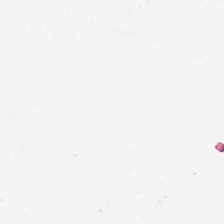Stain: hematoxylin and eosin.
Acquisition: brightfield microscopy.
Tile size: 224×224 px patch.
Field content: no tissue.
